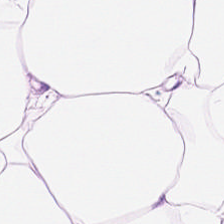Hematoxylin-and-eosin stained section — Q: Classify this patch.
A: This is adipose tissue.
